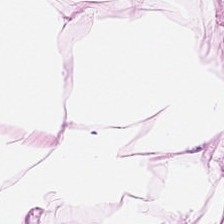224×224 px patch · H&E-stained tissue section.
Q: What does this patch show?
A: The field shows adipose tissue.
